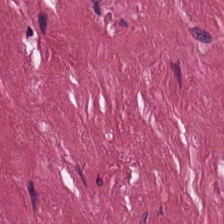Q: Identify the tissue.
A: The field shows tumor stroma.
